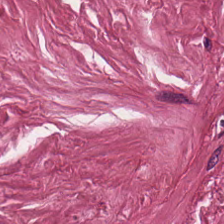H&E — Predominant tissue — tumor-associated stroma.
